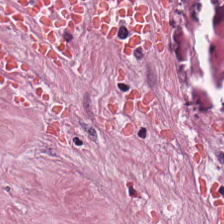Stain: hematoxylin-and-eosin stained section.
Resolution: 0.5 microns per pixel.
Acquisition: brightfield microscopy.
Predominant tissue: cancer-associated stroma.
